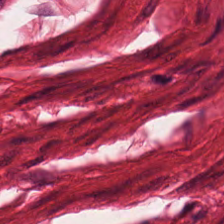Stain: hematoxylin and eosin.
Tissue type: smooth-muscle tissue.
